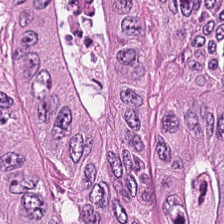H&E patch showing adenocarcinoma.
